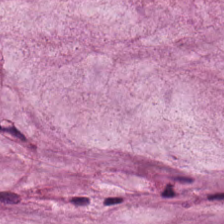Hematoxylin and eosin. FFPE. The predominant tissue is mucus.
